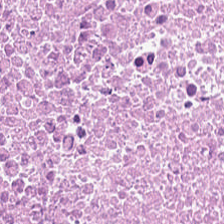Whole-slide-image patch; 0.5 µm per pixel; H&E-stained tissue section.
Tissue: necrotic debris.
